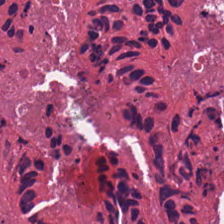H&E-stained tissue section.
The predominant tissue is necrotic debris.
